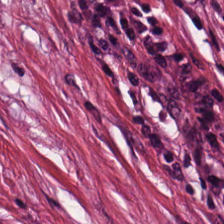Stain: hematoxylin and eosin.
Tile size: 224×224 px patch.
Acquisition: brightfield microscopy.
Tissue type: tumor-associated stroma.
